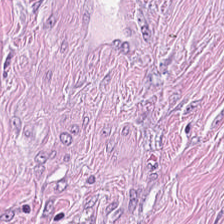This patch shows cancer-associated stroma.
